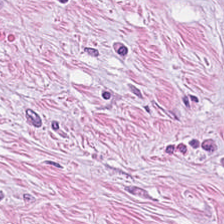Hematoxylin-and-eosin stained section · brightfield microscopy · 224×224 pixel tile. The predominant tissue is cancer-associated stroma.
